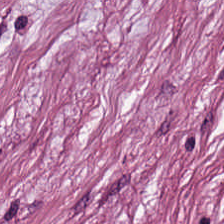{"tissue_type": "tumor-associated stroma"}
